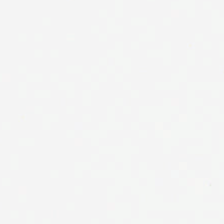Field content — empty background.
